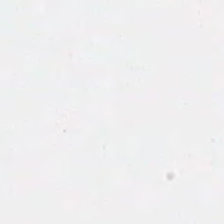Hematoxylin-and-eosin stained section. Q: What does this patch show?
A: Empty background.
